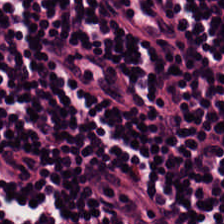H&E stain.
Histology → lymphoid infiltrate.
